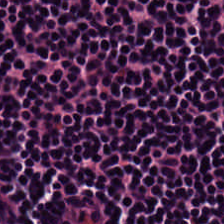H&E-stained tissue section — Predominant tissue = lymphoid infiltrate.
